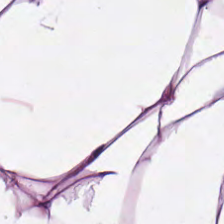The tissue here is adipocytes.
